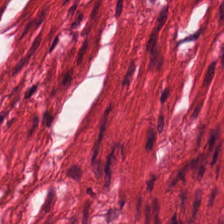Hematoxylin and eosin.
Finding — smooth muscle.
